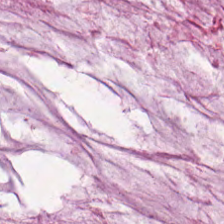FFPE tissue section; H&E-stained tissue section.
This patch shows extracellular mucin.
